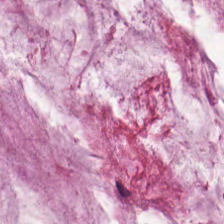FFPE. H&E stain. 224×224 px tile.
The tissue here is mucus.
